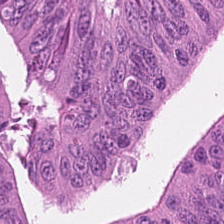Stain: H&E.
Predominant tissue: malignant epithelium.
